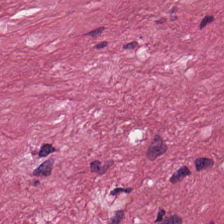Q: What type of tissue is this?
A: This is cancer-associated stroma.
